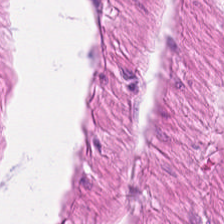H&E · brightfield microscopy — {"tissue_type": "muscularis"}
